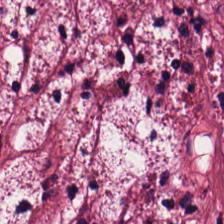Formalin-fixed paraffin-embedded section · H&E — Classification: desmoplastic stroma.
